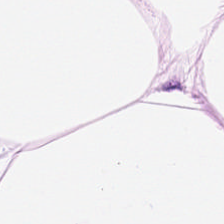FFPE tissue section · brightfield · hematoxylin-and-eosin stained section. Adipocytes.
